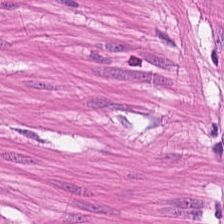224×224 px patch. FFPE tissue section. Hematoxylin and eosin. The tissue here is muscularis.
